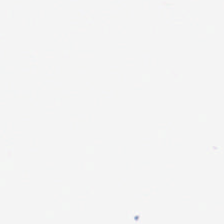Classification = empty background.
